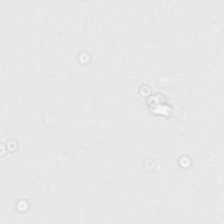Q: What is shown in this field?
A: It is no tissue.
